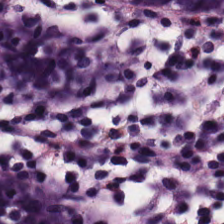Benign colonic mucosa.
